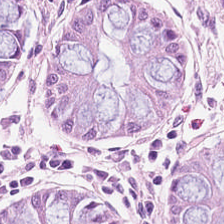Hematoxylin-and-eosin stained section.
Predominantly benign colonic mucosa.
